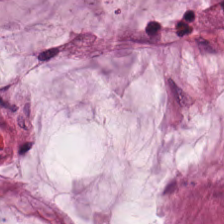WSI patch · H&E stain.
The tissue here is extracellular mucin.
